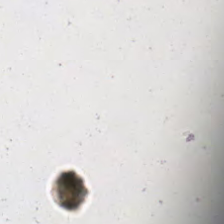No tissue.
